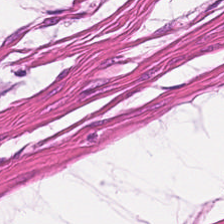Hematoxylin-and-eosin stained section.
Q: What type of tissue is this?
A: Smooth muscle.
